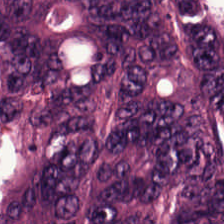H&E. Q: Identify the tissue.
A: The field shows adenocarcinoma.
